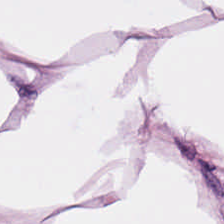H&E-stained tissue section — Predominant tissue — adipocytes.
